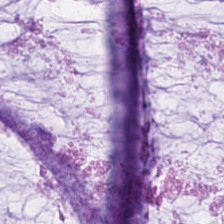This field is mucin.
